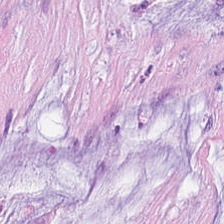0.5 µm per pixel · H&E. The predominant tissue is extracellular mucin.
